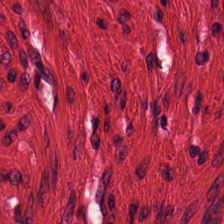Hematoxylin-and-eosin stained section. Showing smooth-muscle tissue.
